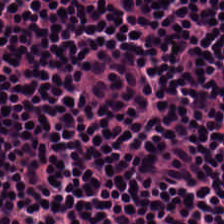H&E. The predominant tissue is lymphocyte aggregate.
